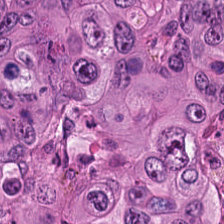224×224 px tile; H&E stain.
Q: What tissue type is shown here?
A: It is colorectal adenocarcinoma.
